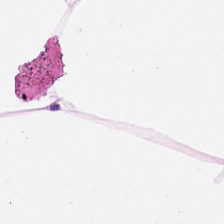H&E-stained tissue section · FFPE tissue section — Tissue — adipocytes.
